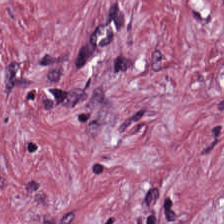H&E — This patch shows desmoplastic stroma.
